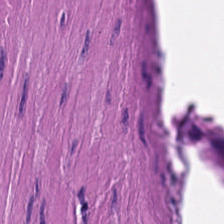H&E. This patch shows smooth-muscle tissue.
